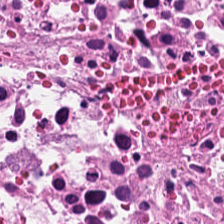0.5 µm per pixel. H&E stain. Predominantly cellular debris.
